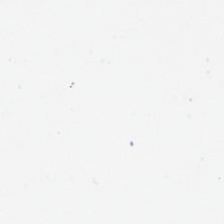Stain: hematoxylin-and-eosin stained section.
Tile size: 224×224 px patch.
Preparation: FFPE.
Field content: background.
